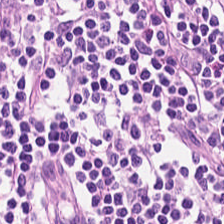FFPE tissue section · H&E stain. Predominant tissue — lymphocytic infiltrate.
